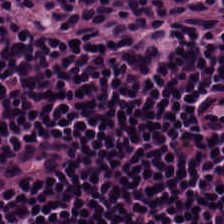FFPE tissue section; 224×224 px patch; hematoxylin-and-eosin stained section. Tissue — lymphocytic infiltrate.
